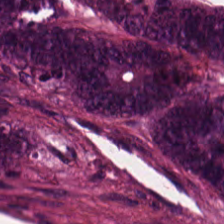H&E-stained tissue section; brightfield — Q: Identify the tissue.
A: It is tumor epithelium.
